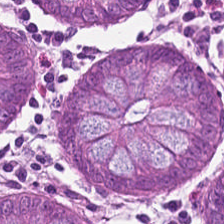The predominant tissue is normal colonic mucosa.
